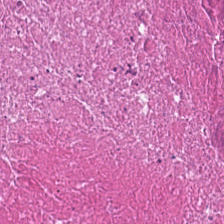H&E patch showing debris.
